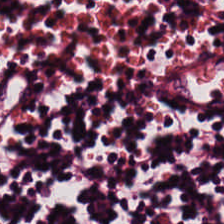H&E stain · WSI patch · 0.5 microns per pixel.
Classification: lymphocytic infiltrate.
